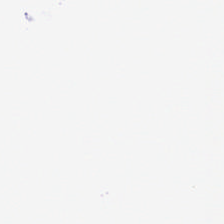Stain: H&E-stained tissue section.
Content: background.
